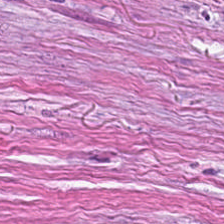H&E-stained tissue section; 20× equivalent magnification — This field is tumor-associated stroma.
